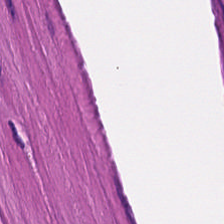H&E stain — Tissue: muscularis.
